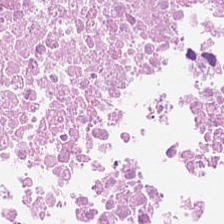Tissue class — debris.
